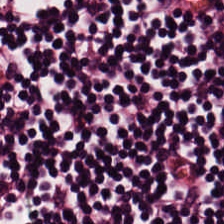Stain: H&E-stained tissue section.
Resolution: 0.5 µm per pixel.
Acquisition: brightfield microscopy.
Classification: lymphocytic infiltrate.
